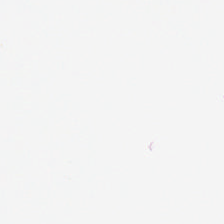224×224 px tile · H&E stain. This field is background (no tissue).
